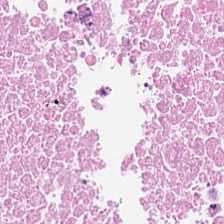H&E. Q: What is the predominant tissue type?
A: It is cellular debris.
